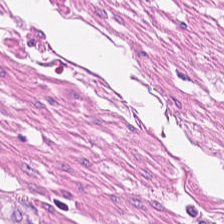Q: What is the predominant tissue type?
A: This is muscularis.
